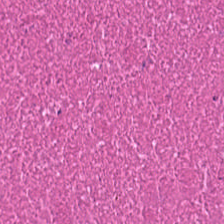Hematoxylin-and-eosin stained section — {"tissue_type": "cellular debris"}
